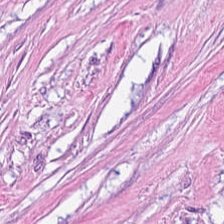Histology → desmoplastic stroma.
